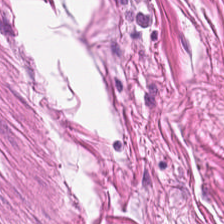Stain: H&E-stained tissue section.
Tile size: 224×224 px tile.
Tissue class: smooth-muscle tissue.
